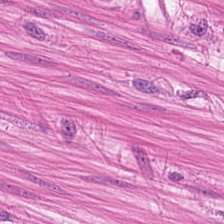0.5 µm per pixel. Hematoxylin-and-eosin stained section. FFPE — Smooth-muscle tissue.
